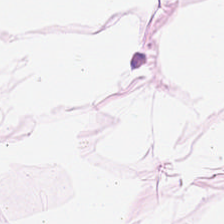H&E-stained tissue section.
Classification — adipocytes.
